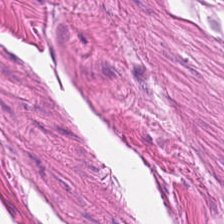H&E-stained tissue section · 224×224 px patch · whole-slide-image patch — Predominant tissue: smooth muscle.
